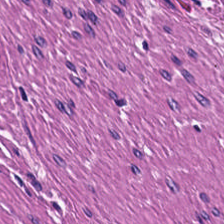Brightfield · FFPE tissue section · hematoxylin and eosin. The tissue here is muscularis.
